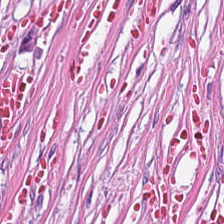Hematoxylin-and-eosin stained section — Desmoplastic stroma.
